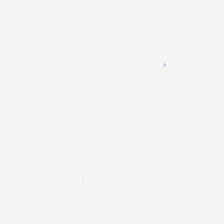Impression → background (no tissue).
